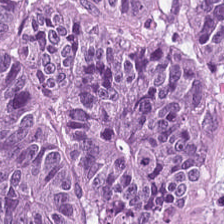Hematoxylin and eosin — Showing colorectal adenocarcinoma epithelium.
